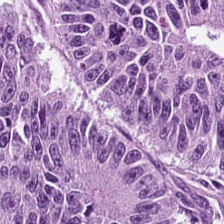H&E patch showing malignant epithelium.
